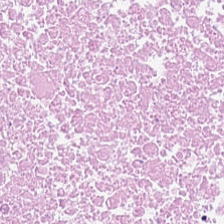Tissue class — debris.
